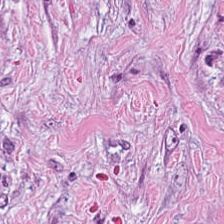H&E. The tissue here is tumor stroma.
